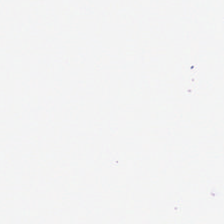Stain: hematoxylin and eosin.
Acquisition: brightfield microscopy.
Preparation: formalin-fixed paraffin-embedded section.
Content: no tissue.
